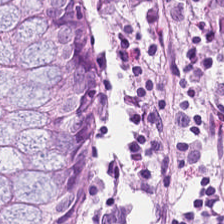Hematoxylin-and-eosin stained section. The tissue is benign colonic mucosa.
